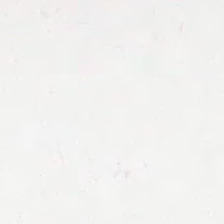H&E-stained tissue section. No tissue present; background only.
